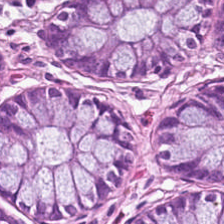0.5 microns per pixel. H&E stain.
Predominantly benign colonic mucosa.
